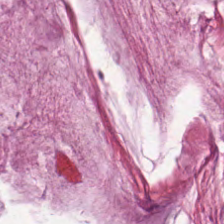224×224 px tile; hematoxylin and eosin. {"tissue_type": "mucin"}
